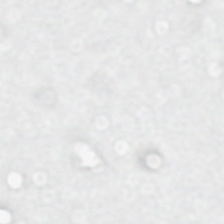H&E — This field is background (no tissue).
